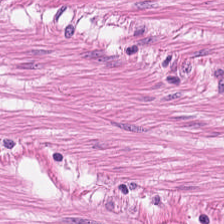H&E — Finding — smooth-muscle tissue.
